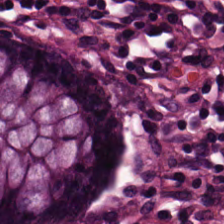Classification: non-neoplastic colon mucosa.
